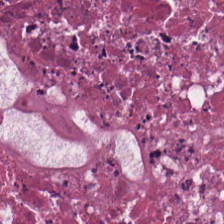Hematoxylin-and-eosin stained section.
Predominant tissue — debris.
